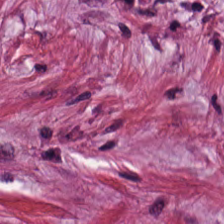H&E.
The tissue is desmoplastic stroma.
